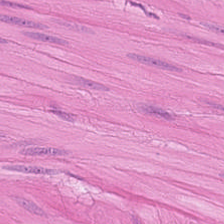Classification — smooth muscle.
